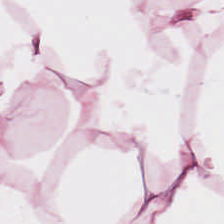0.5 microns per pixel. H&E-stained tissue section — {"tissue_type": "adipose"}
